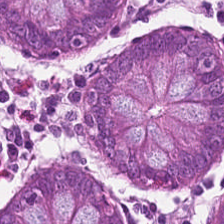H&E. Q: What tissue type is shown here?
A: This is non-neoplastic colon mucosa.
